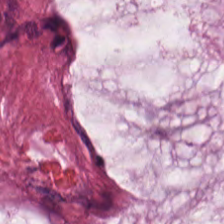H&E stain — Classification = mucin.
